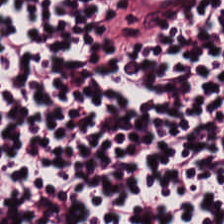Hematoxylin and eosin. Brightfield.
Showing lymphocytes.
